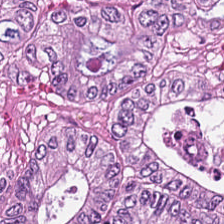Hematoxylin-and-eosin stained section. 224×224 px patch.
Showing colorectal adenocarcinoma epithelium.
